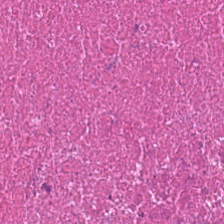Histology — necrotic debris.
